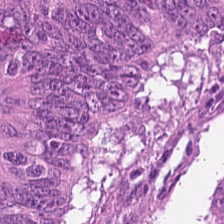Stain: hematoxylin-and-eosin stained section.
Tissue class: colorectal adenocarcinoma.
